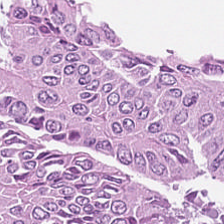Stain: H&E-stained tissue section.
Resolution: 20× equivalent magnification.
Predominant tissue: tumor epithelium.
